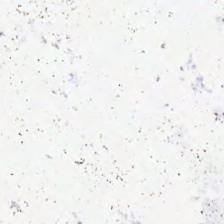Q: What is shown in this field?
A: It is background (no tissue).
